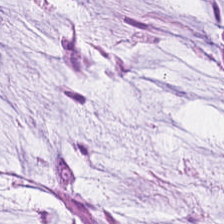H&E-stained tissue section. Classification = mucin.
